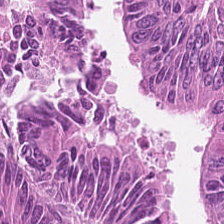H&E-stained tissue section. Predominantly colorectal adenocarcinoma.
